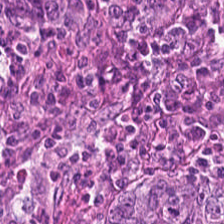Hematoxylin-and-eosin stained section; 224×224 pixel tile; WSI patch. This field is malignant epithelium.
